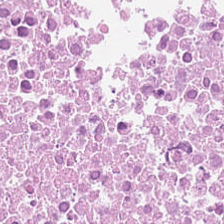H&E stain; brightfield; 224×224 px patch. The predominant tissue is necrotic debris.
